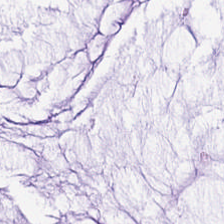Stain: hematoxylin and eosin.
Tissue: mucus.
